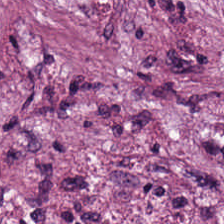Impression — cancer-associated stroma.
